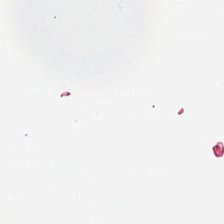H&E stain; FFPE. Empty background.
